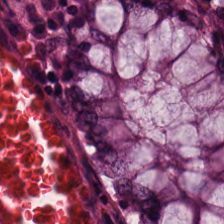Classification — normal colon mucosa.
